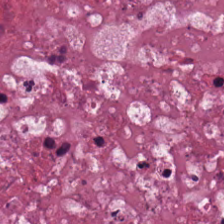H&E-stained tissue section — The predominant tissue is necrotic debris.
